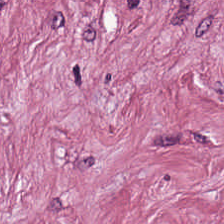Tissue type — tumor-associated stroma.
